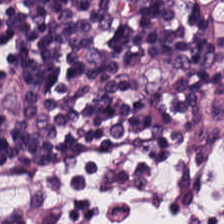Stain: hematoxylin-and-eosin stained section.
Preparation: FFPE tissue section.
Acquisition: brightfield.
Tissue type: lymphoid infiltrate.
